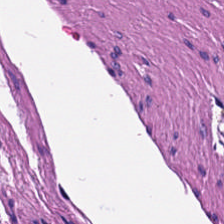Tissue — smooth-muscle tissue.
